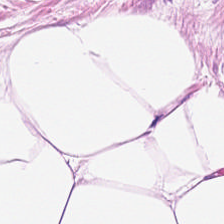H&E-stained tissue section. Brightfield microscopy. Q: Identify the tissue.
A: Adipocytes.
